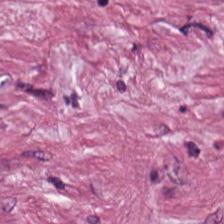H&E stain; 0.5 µm/px; 224×224 pixel tile.
The predominant tissue is cancer-associated stroma.
